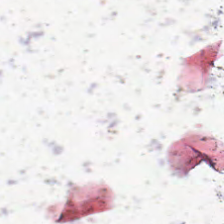0.5 microns per pixel · H&E stain — No tissue present; background only.
